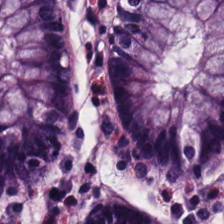224×224 pixel tile · WSI patch · H&E-stained tissue section — Tissue type = non-neoplastic colon mucosa.
